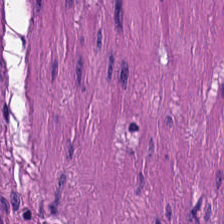Stain: H&E.
Preparation: FFPE tissue section.
Predominant tissue: smooth-muscle tissue.
